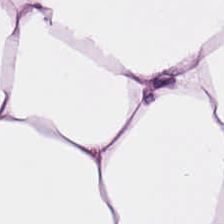Hematoxylin-and-eosin section: adipocytes.
